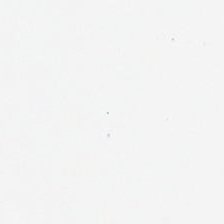The content is no tissue.
